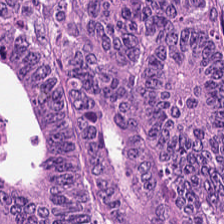H&E-stained tissue section; whole-slide-image patch.
This patch shows malignant epithelium.
